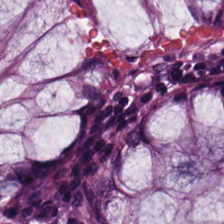H&E-stained tissue section. Benign colonic mucosa.
